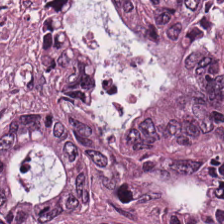H&E-stained tissue section.
The tissue class is malignant epithelium.
